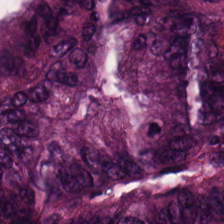224×224 px tile; H&E stain — Showing tumor epithelium.
